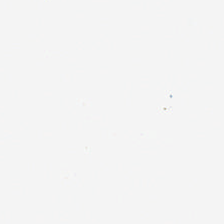Hematoxylin-and-eosin stained section. Classification: background (no tissue).
